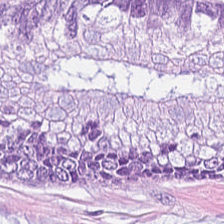Hematoxylin and eosin.
Q: Classify this patch.
A: Mucus.
